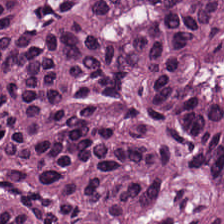H&E. 0.5 µm/px. The tissue class is malignant epithelium.
